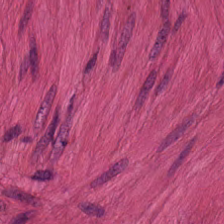WSI patch; hematoxylin and eosin. Predominantly smooth-muscle tissue.
